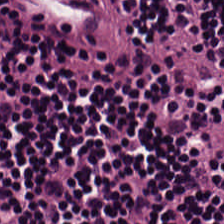Hematoxylin-and-eosin stained section · FFPE tissue section · brightfield microscopy.
This field is lymphocytes.
